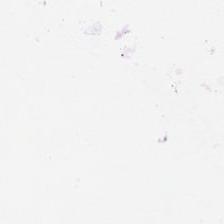Stain: H&E stain.
Content: background.
